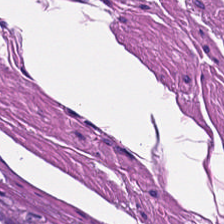H&E.
This patch shows smooth-muscle tissue.
